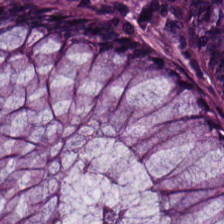Hematoxylin-and-eosin stained section.
Tissue type: benign colonic mucosa.
